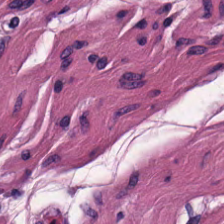Stain: H&E-stained tissue section.
Tissue class: smooth-muscle tissue.
